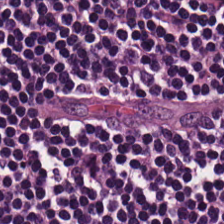Stain: H&E stain.
Predominant tissue: lymphocytic infiltrate.
